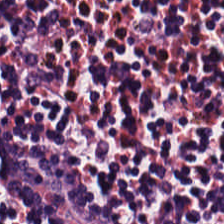H&E stain. This field is lymphocytes.
